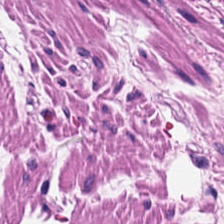H&E-stained tissue section. Formalin-fixed paraffin-embedded section. 224×224 pixel tile. The predominant tissue is smooth muscle.
